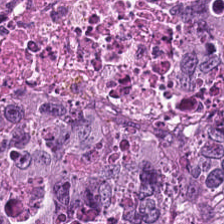Hematoxylin-and-eosin stained section — The classification is adenocarcinoma.
